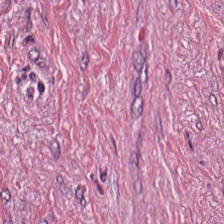Formalin-fixed paraffin-embedded section · H&E.
Classification — tumor-associated stroma.
